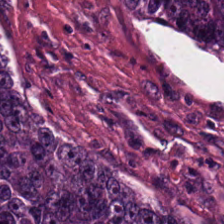Stain: H&E.
Tile size: 224×224 px tile.
Tissue class: tumor epithelium.
